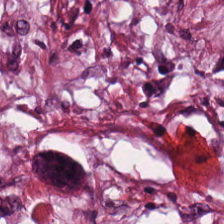H&E stain. Predominant tissue — tumor-associated stroma.
